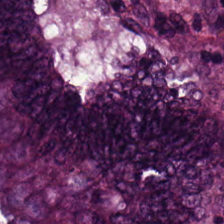Tissue — tumor epithelium.
